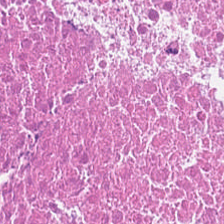The tissue here is necrotic debris.
